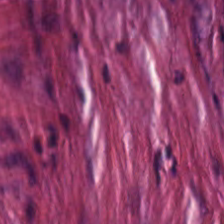The tissue type is tumor stroma.
